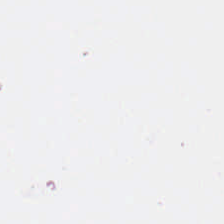Formalin-fixed paraffin-embedded section. Hematoxylin-and-eosin stained section — Content: background.
